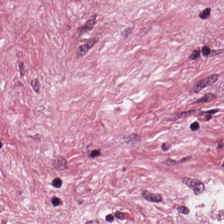Hematoxylin and eosin · whole-slide-image patch — Predominant tissue: desmoplastic stroma.
